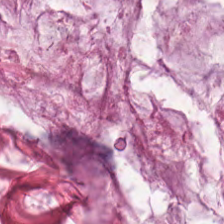224×224 px tile; hematoxylin and eosin.
The tissue here is mucin.
